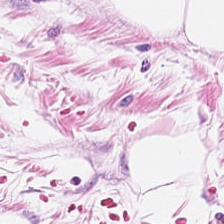Brightfield microscopy · H&E.
Tissue class: adipocytes.
